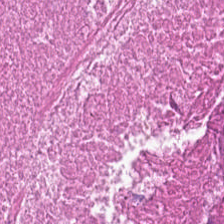Stain: H&E-stained tissue section.
Acquisition: WSI patch.
Predominant tissue: cellular debris.
